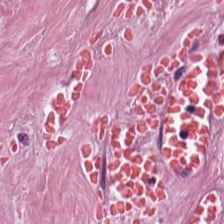Stain: hematoxylin and eosin.
Tile size: 224×224 px patch.
Predominant tissue: cancer-associated stroma.
